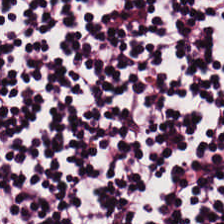Q: What is the predominant tissue type?
A: The field shows lymphoid infiltrate.
